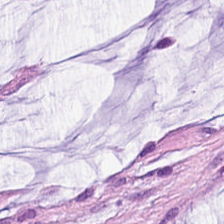H&E-stained tissue section — Q: Identify the tissue.
A: Mucus.
